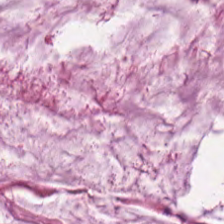0.5 microns per pixel · hematoxylin and eosin. Impression — mucin.
